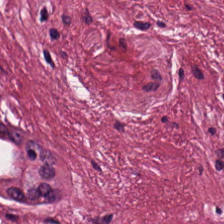Hematoxylin-and-eosin section: cancer-associated stroma.
